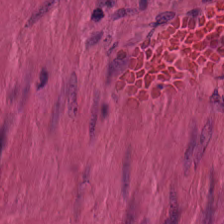FFPE. 224×224 px tile. H&E stain — This field is muscularis.
